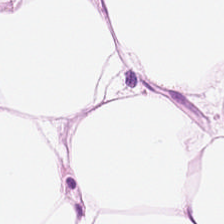Hematoxylin-and-eosin stained section. Brightfield microscopy — Fat tissue.
